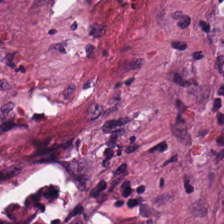This field is desmoplastic stroma.
